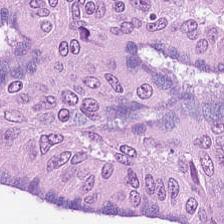224×224 px tile; hematoxylin-and-eosin stained section — Q: Identify the tissue.
A: It is colorectal adenocarcinoma.
